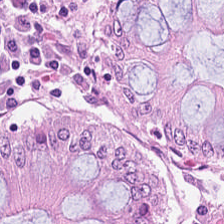224×224 pixel tile; hematoxylin and eosin; 20× equivalent magnification.
The tissue here is normal colonic mucosa.
